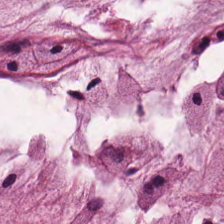H&E-stained tissue section. Formalin-fixed paraffin-embedded section — Tissue class = mucin.
